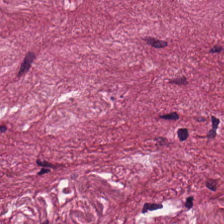Histology → tumor stroma.
